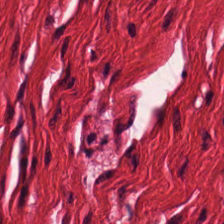FFPE. 0.5 microns per pixel. H&E stain — Classification = smooth muscle.
